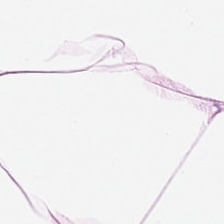Q: What is the predominant tissue type?
A: It is adipocytes.
